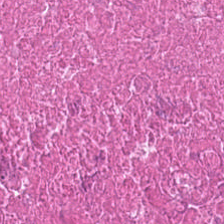Hematoxylin-and-eosin section: debris.
